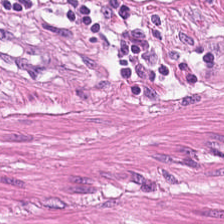H&E-stained tissue section. WSI patch. 0.5 µm/px.
Predominant tissue — smooth muscle.
